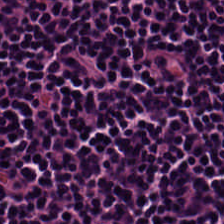Brightfield microscopy · hematoxylin-and-eosin stained section · FFPE tissue section.
Lymphocytes.
